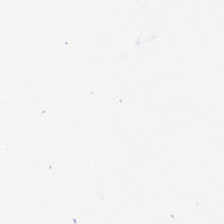Q: What is shown here?
A: Background (no tissue).
